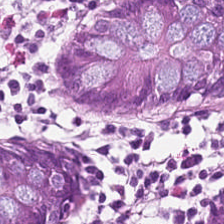224×224 px tile; H&E stain; FFPE tissue section — Histology → normal colon mucosa.
